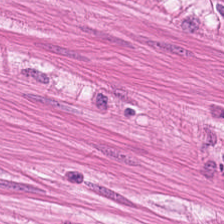Whole-slide-image patch. H&E.
Classification: smooth-muscle tissue.
